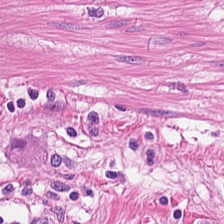Stain: H&E.
Predominant tissue: muscularis.
